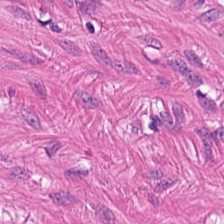20× equivalent magnification. H&E stain. WSI patch — The classification is smooth muscle.
